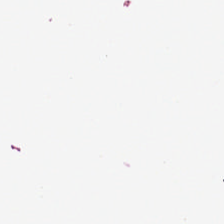Formalin-fixed paraffin-embedded section · hematoxylin and eosin · 224×224 px tile.
Background — no tissue in this field.
